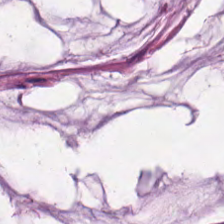0.5 microns per pixel · H&E stain.
Showing mucus.
